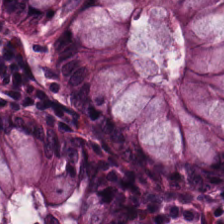{"tissue_type": "non-neoplastic colon mucosa"}
